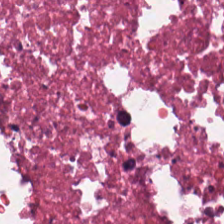H&E-stained tissue section — Necrotic debris.
